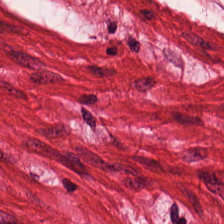H&E — This patch shows muscularis.
